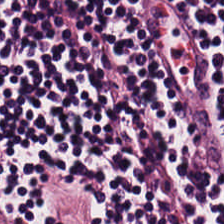Tissue — lymphocytic infiltrate.
